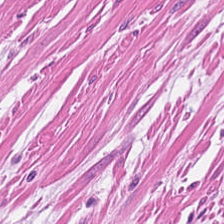Hematoxylin and eosin; 224×224 px patch; FFPE.
Tissue class — smooth-muscle tissue.
